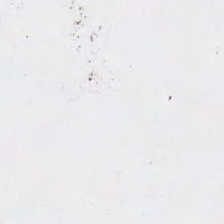H&E-stained tissue section.
Finding — background (no tissue).
